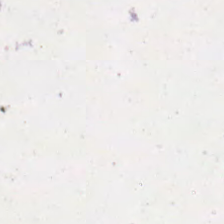0.5 µm/px · H&E-stained tissue section.
Classification: empty background.
